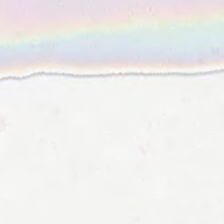H&E stain. Empty field — empty background.
